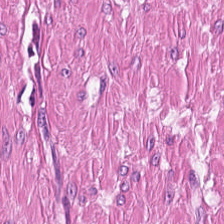WSI patch. H&E. 0.5 microns per pixel — Classification — smooth muscle.
